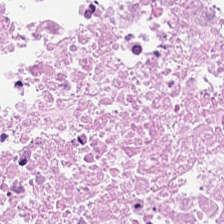H&E-stained tissue section — The tissue here is cellular debris.
